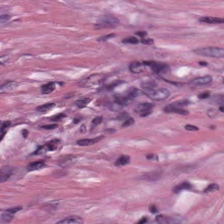The tissue is tumor-associated stroma.
